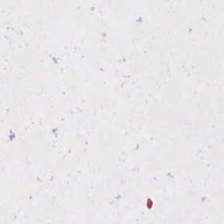H&E-stained tissue section.
Classification — background.
